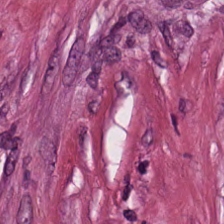H&E stain.
Tissue — tumor-associated stroma.
